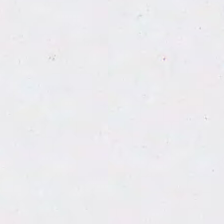Q: Classify this patch.
A: This is empty background.
